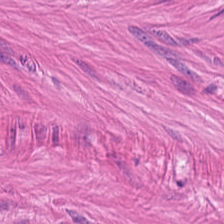H&E stain.
Smooth muscle.
